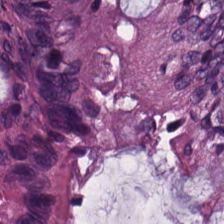Hematoxylin and eosin.
Predominantly non-neoplastic colon mucosa.
